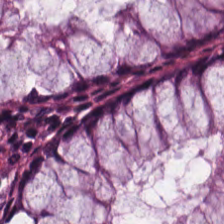Predominant tissue — normal colon mucosa.
